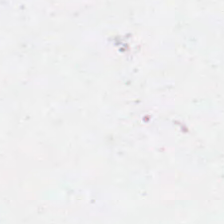Hematoxylin and eosin. Content: background.
